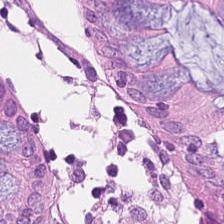Stain: H&E stain.
Preparation: FFPE tissue section.
Predominant tissue: non-neoplastic colon mucosa.
